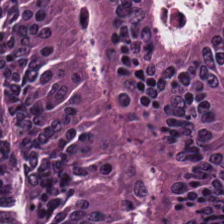H&E stain.
Showing adenocarcinoma.
